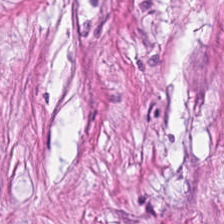Stain: hematoxylin-and-eosin stained section.
Preparation: formalin-fixed paraffin-embedded section.
Predominant tissue: desmoplastic stroma.
